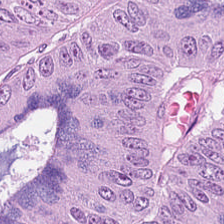Hematoxylin and eosin. Brightfield. Finding — adenocarcinoma.
